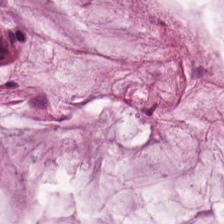Whole-slide-image patch · hematoxylin-and-eosin stained section. Classification = mucus.
